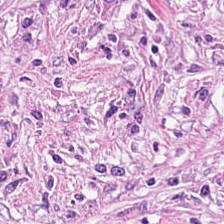Hematoxylin and eosin. 224×224 px tile — Q: What is the predominant tissue type?
A: This is desmoplastic stroma.
